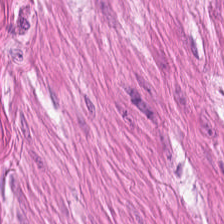224×224 px tile. Hematoxylin-and-eosin stained section. FFPE tissue section — Finding → muscularis.
